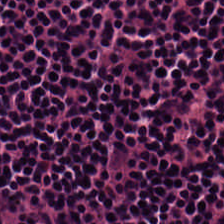0.5 µm per pixel · H&E-stained tissue section — Q: Classify this patch.
A: This is lymphocytic infiltrate.
